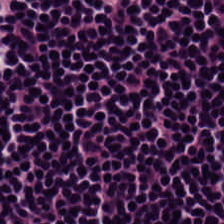Hematoxylin and eosin. 224×224 pixel tile — Q: What tissue type is shown here?
A: This is lymphocyte aggregate.
